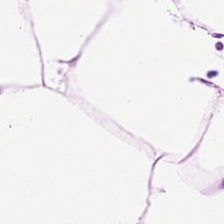H&E-stained tissue section. FFPE — Predominant tissue = adipose.
